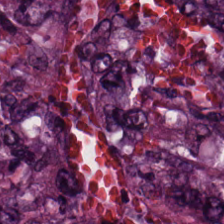H&E-stained tissue section · 224×224 px patch.
Q: What does this patch show?
A: Malignant epithelium.
